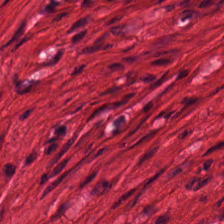H&E. Predominant tissue = muscularis.
